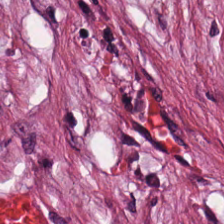H&E.
Tissue — cancer-associated stroma.
